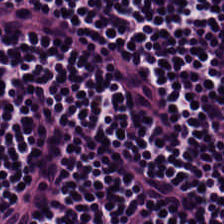224×224 px patch; H&E — Tissue = lymphocyte aggregate.
